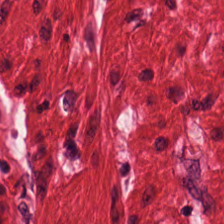Classification — muscularis.
